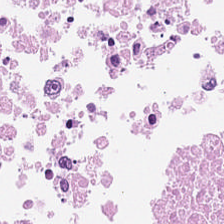Hematoxylin-and-eosin stained section — Predominantly debris.
